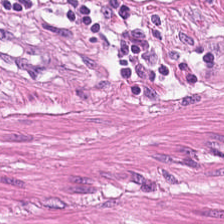H&E-stained tissue section — This patch shows smooth muscle.
